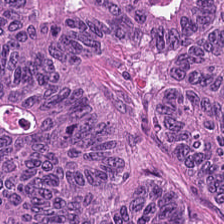Brightfield; H&E stain; 0.5 microns per pixel — Q: What type of tissue is this?
A: The field shows colorectal adenocarcinoma epithelium.
